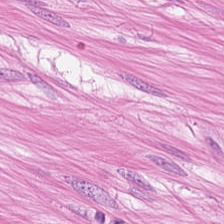Impression — smooth-muscle tissue.
